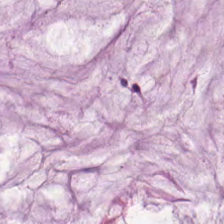H&E. This patch shows mucin.
